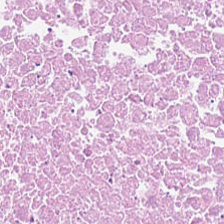224×224 pixel tile. H&E-stained tissue section — Q: What tissue is shown?
A: The field shows necrotic debris.
